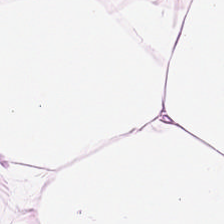H&E stain — Q: What is the predominant tissue type?
A: Fat tissue.
